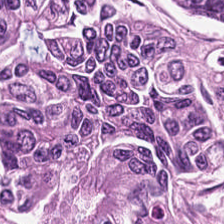Hematoxylin-and-eosin stained section; 224×224 px patch; whole-slide-image patch — Q: Classify this patch.
A: This is adenocarcinoma.
